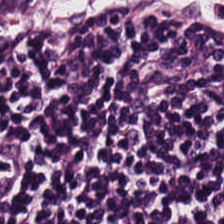H&E-stained section; the field shows lymphocytic infiltrate.
